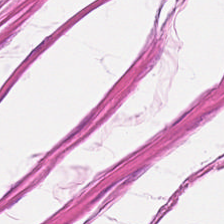Tissue class = muscularis.
